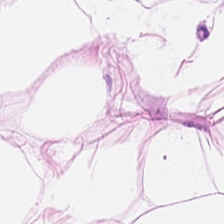Hematoxylin-and-eosin stained section. Brightfield microscopy — Q: Classify this patch.
A: It is adipose tissue.
